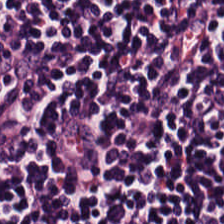224×224 px patch. H&E stain — The predominant tissue is lymphoid infiltrate.
